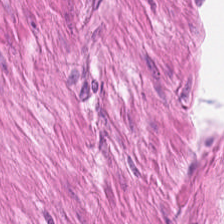Stain: H&E-stained tissue section.
Classification: muscularis.
